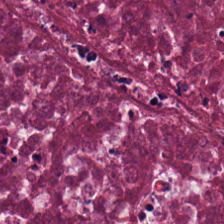Stain: hematoxylin-and-eosin stained section.
Acquisition: WSI patch.
Tissue: cellular debris.
